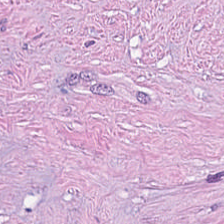H&E. Tissue class: cellular debris.
